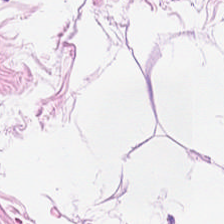Stain: H&E-stained tissue section.
Preparation: FFPE tissue section.
Resolution: 0.5 µm/px.
Tissue class: adipose.
